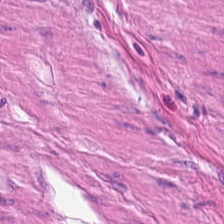Hematoxylin and eosin; brightfield.
Predominantly smooth muscle.
